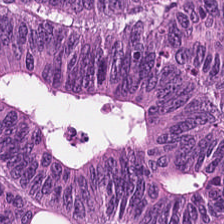H&E stain.
Q: What is the predominant tissue type?
A: This is colorectal adenocarcinoma epithelium.
